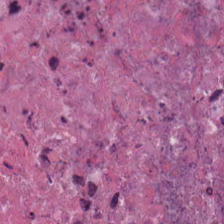Whole-slide-image patch. Hematoxylin and eosin. FFPE tissue section.
This patch shows debris.
